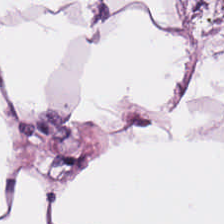Hematoxylin-and-eosin stained section — Q: Classify this patch.
A: It is fat tissue.
